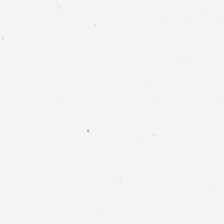Hematoxylin and eosin — Q: What does this patch show?
A: Background (no tissue).
